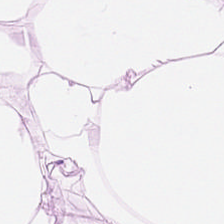Stain: H&E-stained tissue section.
Tissue class: adipose.
